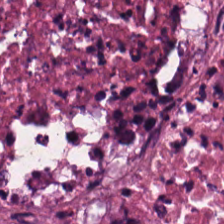Tissue type: necrotic debris.
